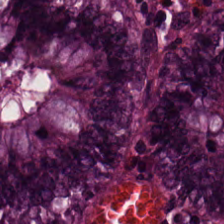Stain: H&E-stained tissue section.
Tile size: 224×224 px tile.
Tissue class: benign colonic mucosa.
